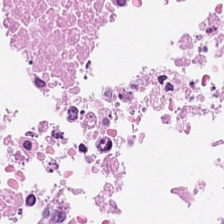Hematoxylin and eosin. {"tissue_type": "cellular debris"}
